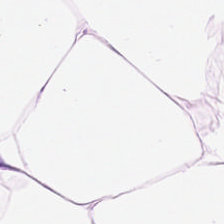Q: What does this patch show?
A: The field shows adipocytes.
